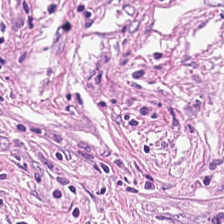H&E.
Finding — cancer-associated stroma.
